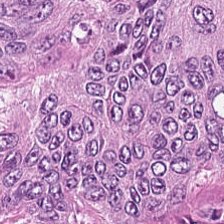Q: What is shown here?
A: Colorectal adenocarcinoma epithelium.
